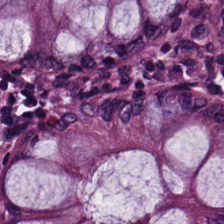The classification is non-neoplastic colon mucosa.
